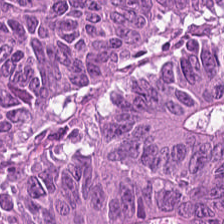H&E stain. 224×224 pixel tile.
The tissue here is adenocarcinoma.
